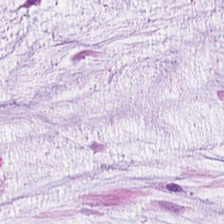H&E stain; 224×224 px tile; brightfield.
Histology → extracellular mucin.
